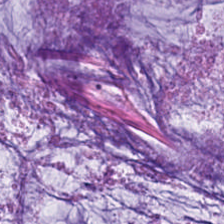H&E stain; 224×224 px patch. {"tissue_type": "mucus"}
